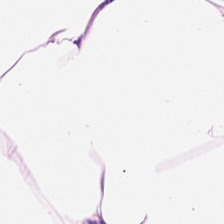Hematoxylin and eosin; whole-slide-image patch. Q: Identify the tissue.
A: Fat tissue.
